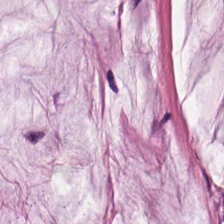Brightfield; 224×224 px patch; H&E.
The predominant tissue is mucin.
